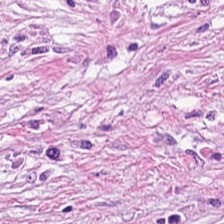H&E stain. The predominant tissue is tumor stroma.
